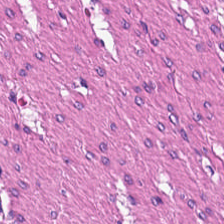Q: Identify the tissue.
A: The field shows smooth muscle.
